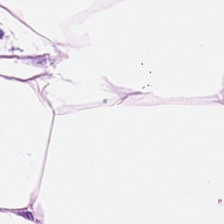H&E-stained tissue section.
Adipose.
